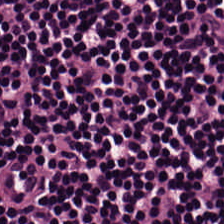{"tissue_type": "lymphoid infiltrate"}
